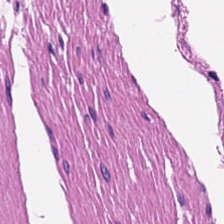Stain: H&E.
Tissue type: smooth-muscle tissue.
